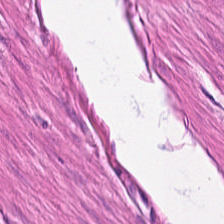H&E-stained tissue section.
Q: What is shown here?
A: This is smooth muscle.
